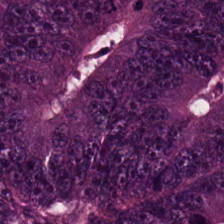Q: What is the predominant tissue type?
A: Adenocarcinoma.
